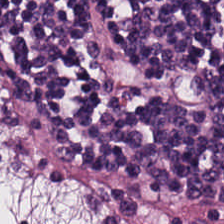H&E stain.
Lymphocytic infiltrate.
